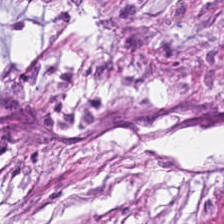224×224 px tile; whole-slide-image patch; hematoxylin-and-eosin stained section.
Q: What tissue type is shown here?
A: This is tumor-associated stroma.
